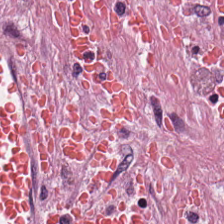Stain: hematoxylin-and-eosin stained section.
Tile size: 224×224 pixel tile.
Tissue: tumor stroma.
